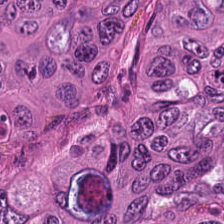Stain: H&E-stained tissue section.
Tile size: 224×224 px patch.
Tissue: adenocarcinoma.
